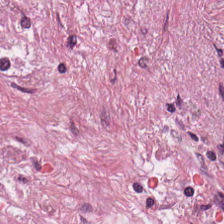Brightfield. H&E. Finding — tumor stroma.
